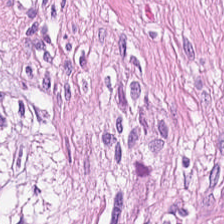Tissue — smooth-muscle tissue.
